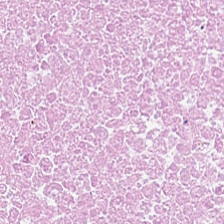Hematoxylin and eosin; 224×224 pixel tile. Impression — cellular debris.
